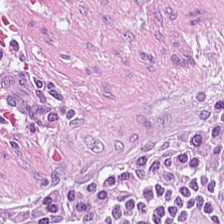Whole-slide-image patch; hematoxylin-and-eosin stained section — Predominantly tumor stroma.
